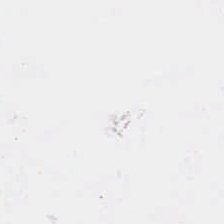Classification — background (no tissue).
